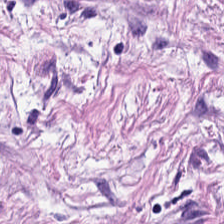H&E stain.
Q: What is the predominant tissue type?
A: The field shows tumor-associated stroma.
